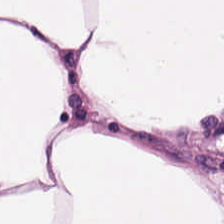Hematoxylin-and-eosin section: adipose tissue.
